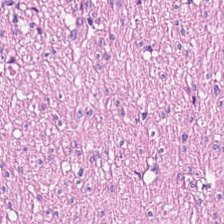H&E patch showing smooth-muscle tissue.
